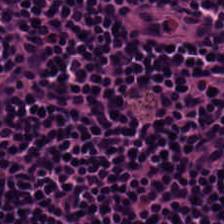H&E · formalin-fixed paraffin-embedded section.
Q: What does this patch show?
A: Lymphocytic infiltrate.
